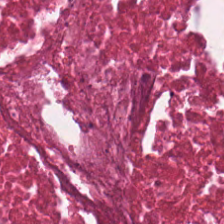Hematoxylin-and-eosin stained section. The predominant tissue is cellular debris.
